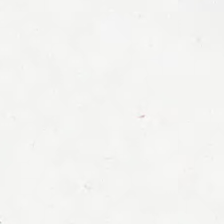Hematoxylin-and-eosin stained section. Content: background.
